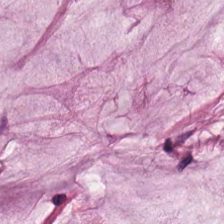Formalin-fixed paraffin-embedded section. H&E-stained tissue section. 224×224 px patch.
Q: Classify this patch.
A: This is mucin.
